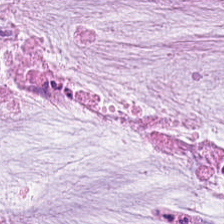Impression → extracellular mucin.
